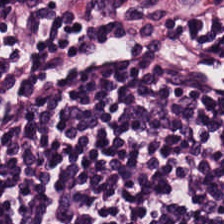Brightfield microscopy; 224×224 pixel tile; hematoxylin-and-eosin stained section.
Lymphocyte aggregate.
